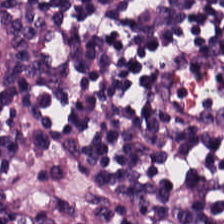Hematoxylin-and-eosin stained section. WSI patch.
Tissue class = lymphoid infiltrate.
